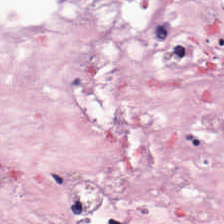H&E stain. Histology → cancer-associated stroma.
